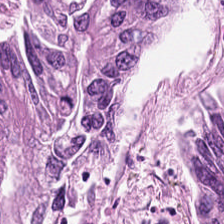H&E-stained tissue section · FFPE tissue section · 20× equivalent magnification — This patch shows colorectal adenocarcinoma.
